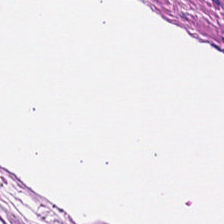Hematoxylin-and-eosin stained section — This patch shows muscularis.
